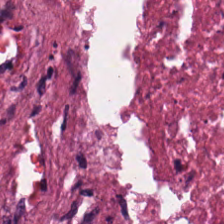Necrotic debris.
